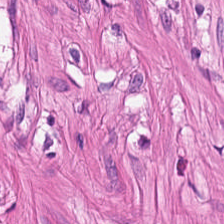H&E. {"tissue_type": "smooth-muscle tissue"}
